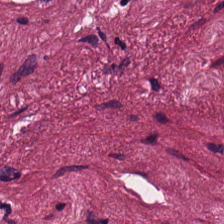H&E patch showing tumor stroma.
